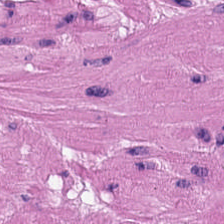Hematoxylin and eosin · 0.5 microns per pixel — Q: What is shown in this field?
A: The field shows smooth muscle.
